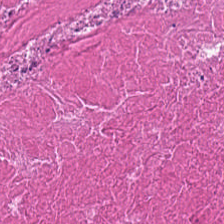The tissue here is necrotic debris.
